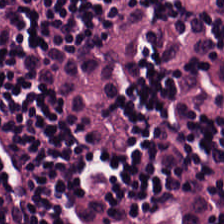Stain: H&E-stained tissue section.
Tissue: lymphocytic infiltrate.
